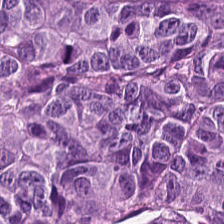Stain: hematoxylin-and-eosin stained section.
Tissue class: colorectal adenocarcinoma epithelium.
